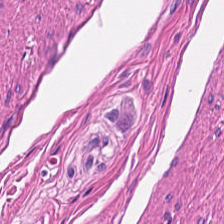{"tissue_type": "smooth muscle"}
